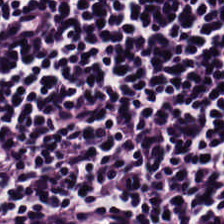Hematoxylin-and-eosin stained section.
Showing lymphoid infiltrate.
